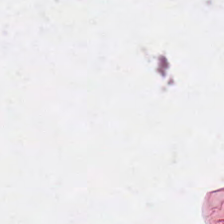Hematoxylin-and-eosin stained section · FFPE.
Q: What does this patch show?
A: Background.
